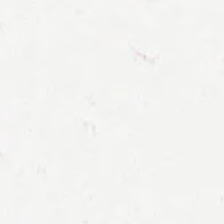H&E-stained tissue section; 0.5 µm/px.
Field content = background (no tissue).
